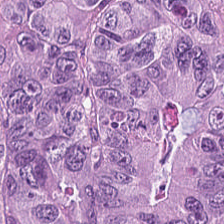H&E-stained tissue section.
The tissue here is adenocarcinoma.
